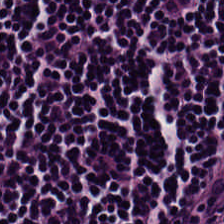Hematoxylin and eosin. 0.5 µm/px — Tissue type = lymphocytic infiltrate.
